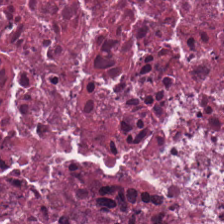Q: Classify this patch.
A: The field shows debris.
